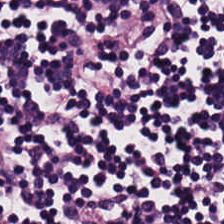Hematoxylin and eosin. Formalin-fixed paraffin-embedded section. {"tissue_type": "lymphoid infiltrate"}
